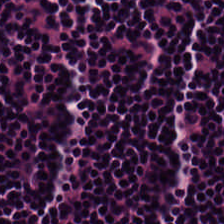H&E. {"tissue_type": "lymphocytes"}
